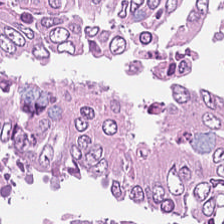Finding → adenocarcinoma.
